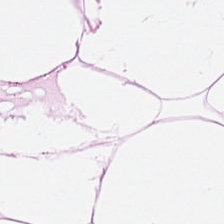H&E-stained tissue section.
The tissue is adipose.
